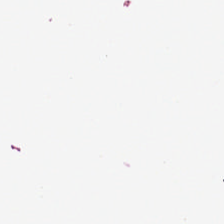Field content — background.
